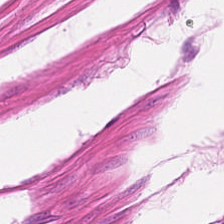Hematoxylin and eosin. This patch shows smooth-muscle tissue.
